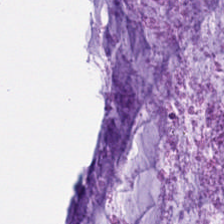H&E-stained tissue section — {"tissue_type": "extracellular mucin"}
